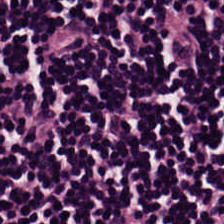Hematoxylin-and-eosin stained section — Lymphocyte aggregate.
